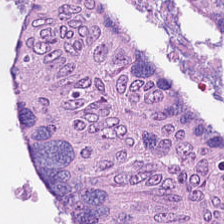Brightfield; H&E stain — Malignant epithelium.
